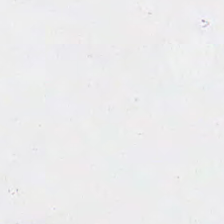224×224 pixel tile · H&E-stained tissue section. Finding — background (no tissue).
